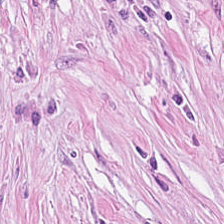Predominant tissue — desmoplastic stroma.
